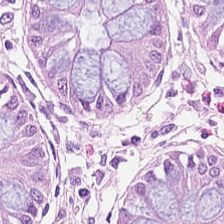H&E stain · 20× equivalent magnification.
This field is normal colonic mucosa.
